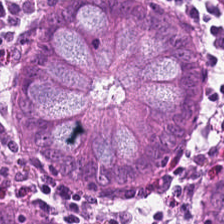Stain: H&E.
Classification: benign colonic mucosa.
